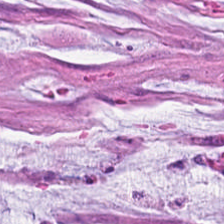Stain: hematoxylin and eosin.
Resolution: 0.5 µm per pixel.
Classification: extracellular mucin.
